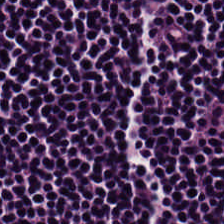Hematoxylin and eosin. Brightfield — The predominant tissue is lymphoid infiltrate.
